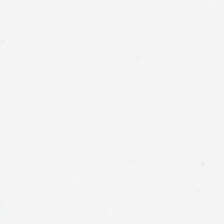Q: What does this patch show?
A: This is empty background.
